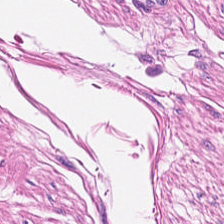224×224 px patch; H&E-stained tissue section. The predominant tissue is smooth-muscle tissue.
